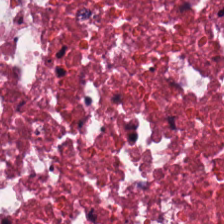This patch shows debris.
